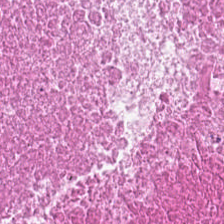Impression — necrotic debris.
